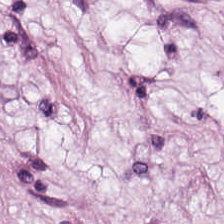H&E stain — {"tissue_type": "fat tissue"}
